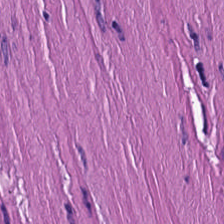Hematoxylin and eosin. Smooth-muscle tissue.
